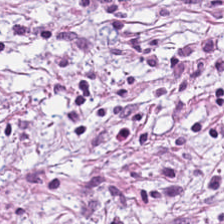Hematoxylin-and-eosin stained section · formalin-fixed paraffin-embedded section.
Tissue class: tumor stroma.
